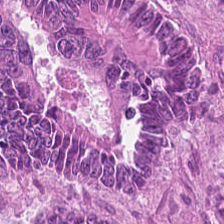Impression → colorectal adenocarcinoma epithelium.
